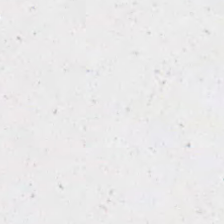H&E — Empty field — background.
